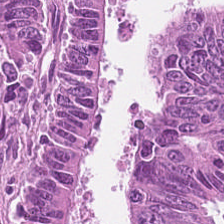H&E; 224×224 px tile; 0.5 µm per pixel. Q: What type of tissue is this?
A: Colorectal adenocarcinoma epithelium.
